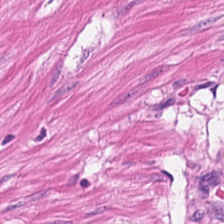H&E stain. Showing muscularis.
